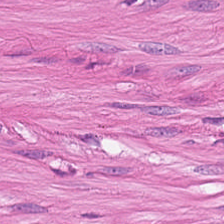Hematoxylin and eosin.
Predominantly smooth-muscle tissue.
